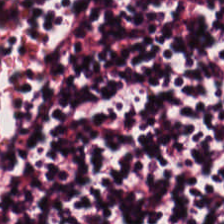H&E.
Q: Identify the tissue.
A: The field shows lymphocytes.
